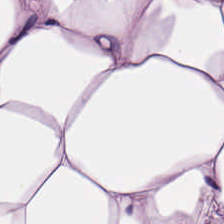224×224 px tile. Hematoxylin and eosin. 0.5 µm per pixel — Predominantly adipose tissue.
